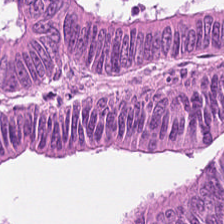H&E.
The predominant tissue is malignant epithelium.
